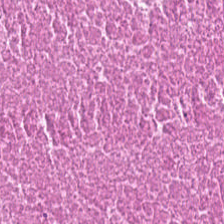Hematoxylin and eosin — This patch shows necrotic debris.
